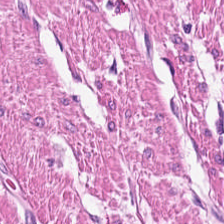Brightfield microscopy; hematoxylin and eosin; 20× equivalent magnification. Tissue class — muscularis.
